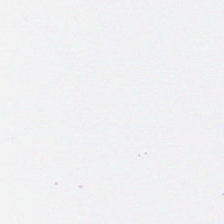Whole-slide-image patch · H&E-stained tissue section.
Empty field — background.
